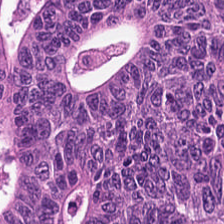Brightfield. H&E-stained tissue section.
This patch shows colorectal adenocarcinoma epithelium.
